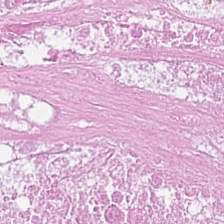H&E-stained section; the field shows cellular debris.
